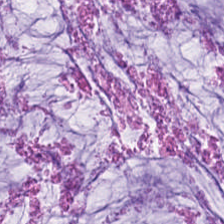H&E-stained tissue section — The tissue here is mucus.
